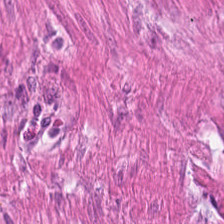H&E. Classification = muscularis.
